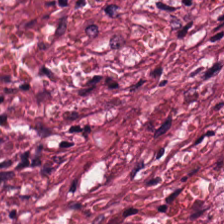0.5 µm per pixel; hematoxylin-and-eosin stained section. Tissue = desmoplastic stroma.
